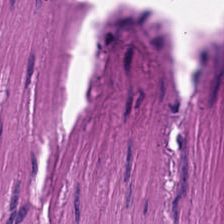224×224 px tile · H&E.
Tissue class: muscularis.
